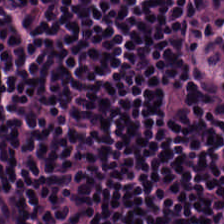Finding — lymphocytes.
